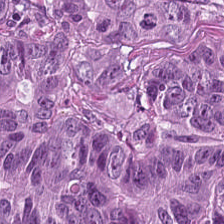Hematoxylin-and-eosin stained section. The predominant tissue is colorectal adenocarcinoma.
